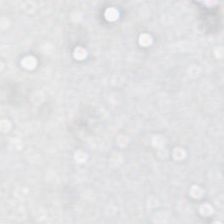Q: Classify this patch.
A: This is no tissue.
